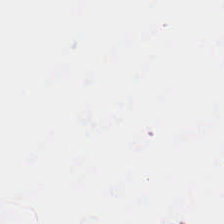Classification = background.
